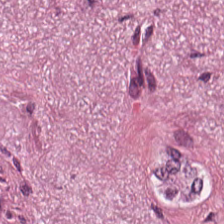The tissue is tumor stroma.
